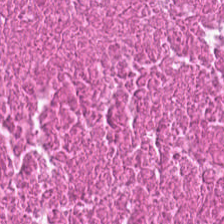H&E — Q: What tissue type is shown here?
A: This is necrotic debris.
